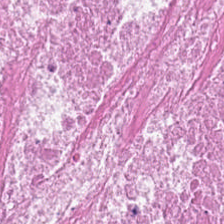Hematoxylin-and-eosin stained section. FFPE. The tissue class is necrotic debris.
